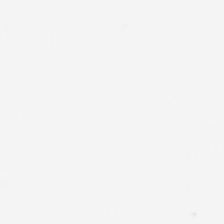20× equivalent magnification; H&E.
Q: What is shown here?
A: This is no tissue.
